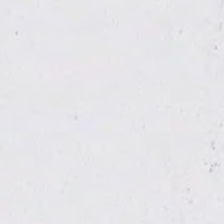Histology — background.
